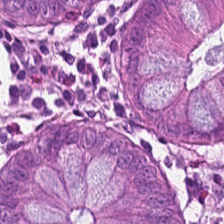Histology — benign colonic mucosa.
